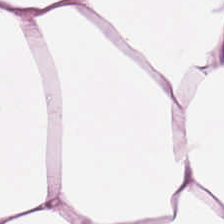H&E · WSI patch · 224×224 pixel tile — Tissue class: adipose tissue.
